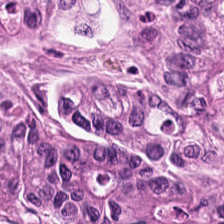Hematoxylin-and-eosin stained section — The tissue here is adenocarcinoma.
